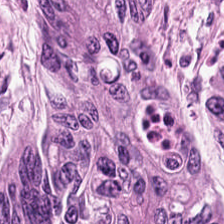Stain: H&E stain.
Tissue type: colorectal adenocarcinoma epithelium.
